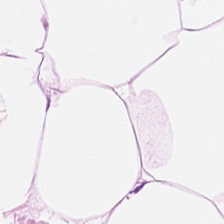Q: What tissue is shown?
A: This is adipose.
